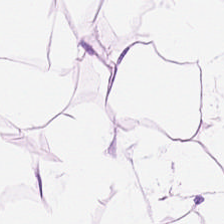H&E-stained section; the field shows adipose.
